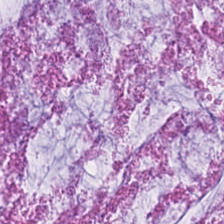Q: What is shown in this field?
A: This is mucin.
